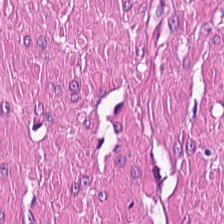The classification is muscularis.
